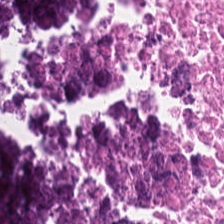Stain: H&E stain.
Classification: cellular debris.
